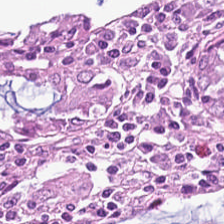H&E stain.
Tissue class: non-neoplastic colon mucosa.
